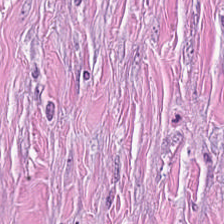H&E stain; 224×224 px tile; brightfield microscopy.
This patch shows tumor stroma.
